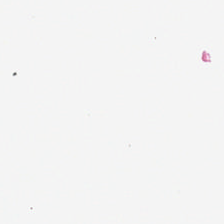H&E · FFPE tissue section — No tissue present; background only.
